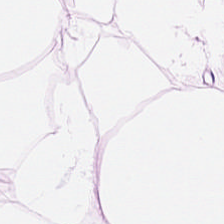H&E-stained tissue section. {"tissue_type": "fat tissue"}
